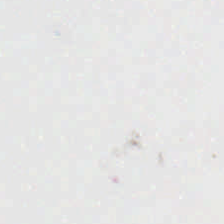This field is background (no tissue).
